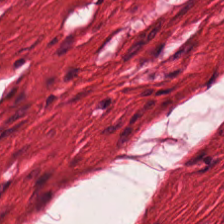H&E. This patch shows muscularis.
